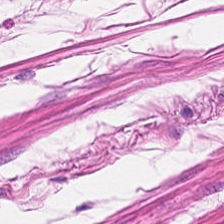Hematoxylin-and-eosin stained section. Brightfield microscopy. Q: What type of tissue is this?
A: The field shows smooth muscle.
